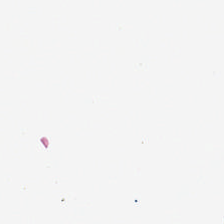{"content": "empty background"}
